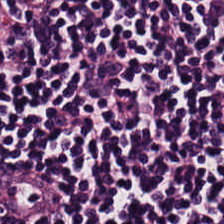H&E-stained tissue section.
The predominant tissue is lymphoid infiltrate.
